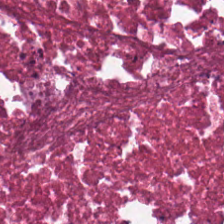224×224 pixel tile · hematoxylin and eosin · FFPE — {"tissue_type": "cellular debris"}
